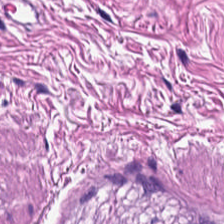H&E-stained tissue section; brightfield; 224×224 px tile. Impression → smooth-muscle tissue.
